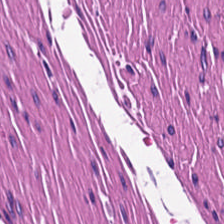Stain: H&E.
Tile size: 224×224 px patch.
Tissue: smooth muscle.
